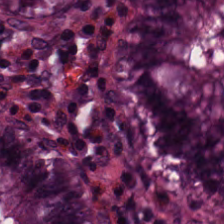224×224 px tile; H&E stain. Tissue type — benign colonic mucosa.
